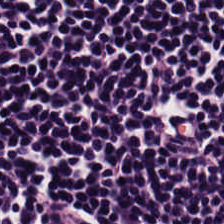H&E stain. Brightfield — This patch shows lymphocyte aggregate.
